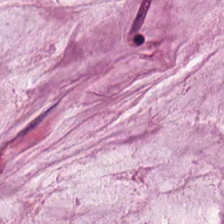The predominant tissue is extracellular mucin.
